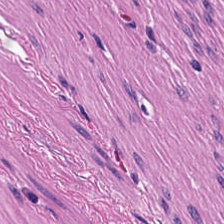Hematoxylin-and-eosin stained section — This patch shows muscularis.
